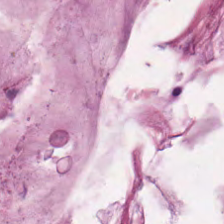0.5 microns per pixel; H&E stain — This field is mucus.
